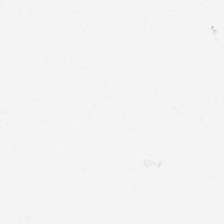WSI patch; H&E stain — Field content: background (no tissue).
